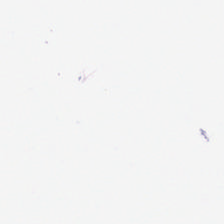This field is background (no tissue).
